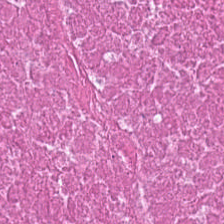H&E stain.
Impression → cellular debris.
